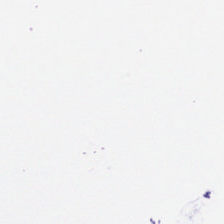Hematoxylin and eosin; 20× equivalent magnification; FFPE.
This patch shows background (no tissue).
